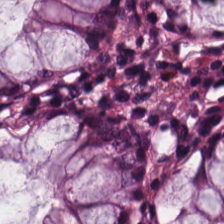H&E-stained tissue section. Tissue class: normal colonic mucosa.
